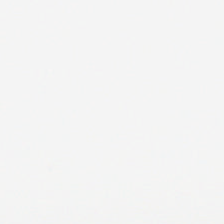Hematoxylin-and-eosin stained section. Classification — empty background.
